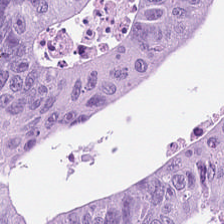H&E — Finding → adenocarcinoma.
